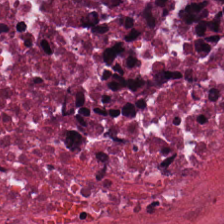Formalin-fixed paraffin-embedded section. H&E. 224×224 pixel tile.
Q: What is shown in this field?
A: This is necrotic debris.
